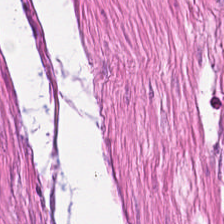H&E stain — This patch shows smooth muscle.
